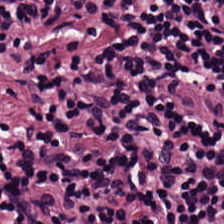Q: What is shown in this field?
A: This is lymphoid infiltrate.
